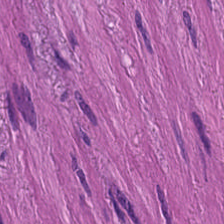H&E. This patch shows smooth-muscle tissue.
